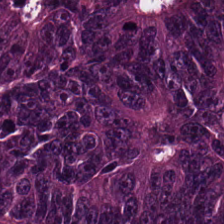Hematoxylin and eosin — Colorectal adenocarcinoma.
